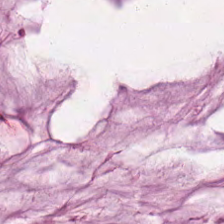H&E-stained tissue section — Q: Classify this patch.
A: This is mucin.
